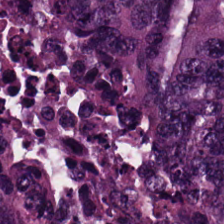H&E-stained tissue section. The predominant tissue is colorectal adenocarcinoma epithelium.
